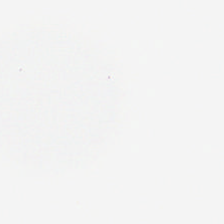H&E stain. No tissue present; background only.
